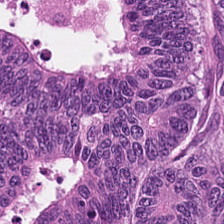224×224 px tile. H&E-stained tissue section. Brightfield microscopy.
Tissue class — malignant epithelium.
